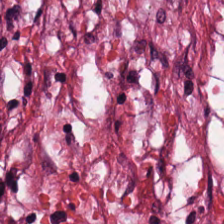Hematoxylin-and-eosin stained section — The tissue here is cancer-associated stroma.
